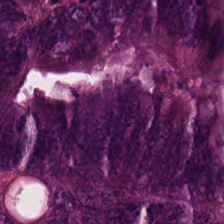This field is tumor epithelium.
